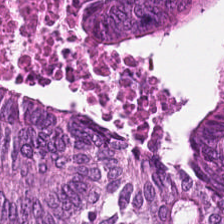224×224 pixel tile · formalin-fixed paraffin-embedded section · H&E. Q: What is the predominant tissue type?
A: The field shows malignant epithelium.
